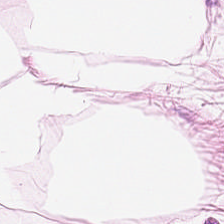This field is adipose.
